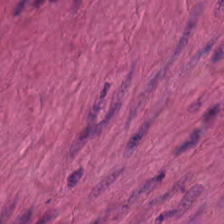The tissue is muscularis.
